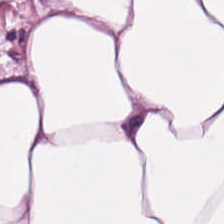Hematoxylin and eosin. This patch shows adipose.
